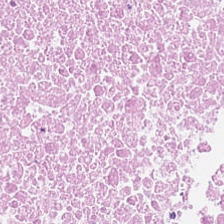The predominant tissue is debris.
